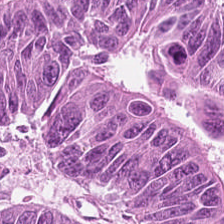Hematoxylin-and-eosin stained section; brightfield. Classification — colorectal adenocarcinoma.
